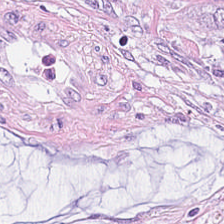Stain: H&E-stained tissue section.
Acquisition: WSI patch.
Tissue: mucus.
